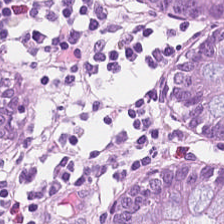H&E-stained tissue section. Classification: non-neoplastic colon mucosa.
